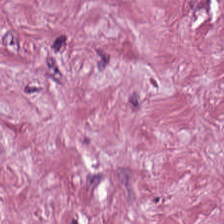Hematoxylin-and-eosin stained section. Q: What is shown in this field?
A: It is cancer-associated stroma.
